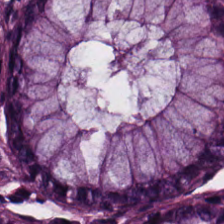FFPE. H&E. 224×224 pixel tile. Predominant tissue: normal colonic mucosa.
